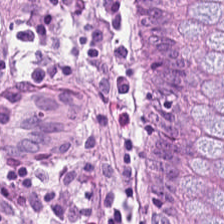Finding — non-neoplastic colon mucosa.
